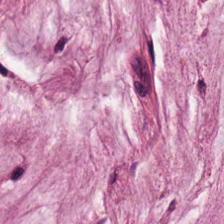Stain: H&E.
Preparation: FFPE tissue section.
Tissue type: mucin.
